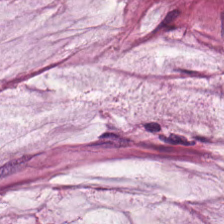Hematoxylin-and-eosin stained section. Histology → mucus.
